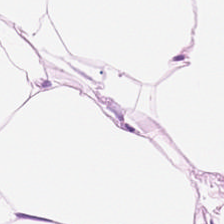Hematoxylin and eosin.
Q: What is shown here?
A: It is adipose.
